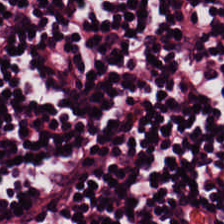224×224 pixel tile · H&E-stained tissue section — The tissue here is lymphocytes.
